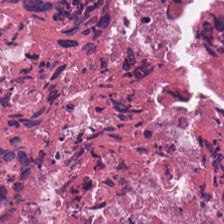The tissue is necrotic debris.
